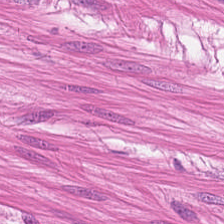FFPE tissue section · H&E.
The predominant tissue is smooth muscle.
